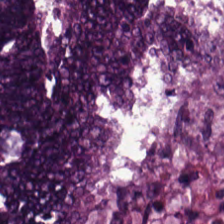H&E-stained tissue section.
The tissue here is adenocarcinoma.
